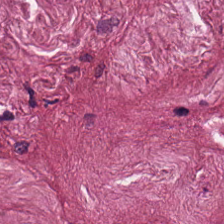H&E stain.
Desmoplastic stroma.
